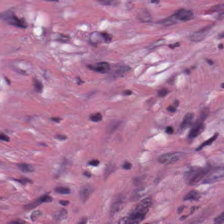Hematoxylin and eosin. Showing tumor stroma.
